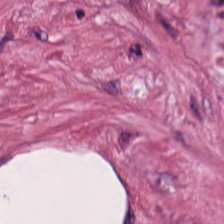Stain: hematoxylin-and-eosin stained section.
Tile size: 224×224 pixel tile.
Tissue: cancer-associated stroma.
